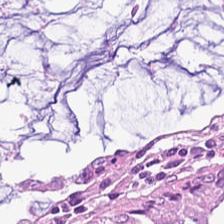Hematoxylin and eosin.
Non-neoplastic colon mucosa.
